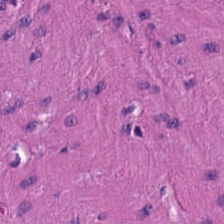H&E-stained tissue section · 224×224 px tile · 20× equivalent magnification — The predominant tissue is muscularis.
